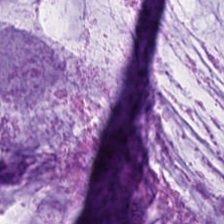Hematoxylin and eosin · whole-slide-image patch. This patch shows mucin.
